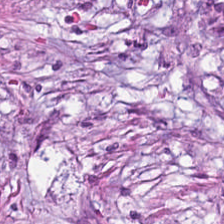H&E stain · 0.5 µm/px. Desmoplastic stroma.
